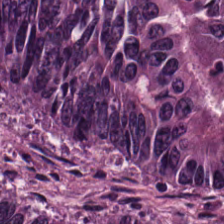H&E — Tissue type: colorectal adenocarcinoma epithelium.
